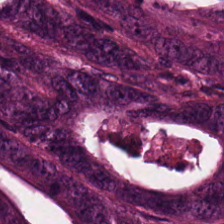Stain: H&E-stained tissue section.
Tissue class: adenocarcinoma.
